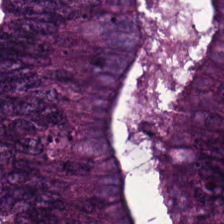H&E; 0.5 microns per pixel — Impression — adenocarcinoma.
